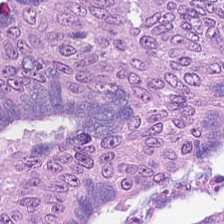Hematoxylin and eosin.
{"tissue_type": "colorectal adenocarcinoma epithelium"}
